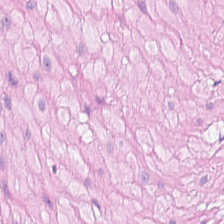The tissue here is smooth muscle.
